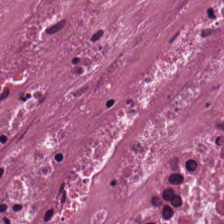Brightfield. H&E. FFPE tissue section. This field is debris.
